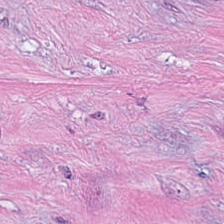Hematoxylin-and-eosin stained section.
Q: What is the predominant tissue type?
A: It is desmoplastic stroma.
